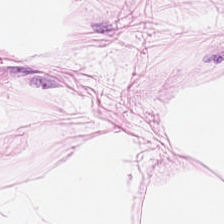The tissue is adipose.
